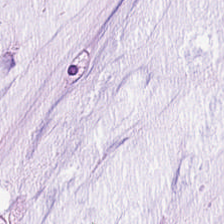Hematoxylin and eosin · 0.5 µm/px.
Q: What tissue type is shown here?
A: This is mucin.
